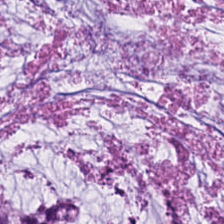Stain: H&E stain.
Tile size: 224×224 pixel tile.
Acquisition: WSI patch.
Classification: mucus.
